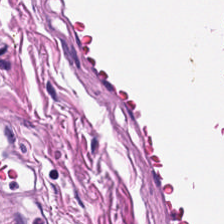H&E-stained tissue section — {"tissue_type": "smooth-muscle tissue"}
